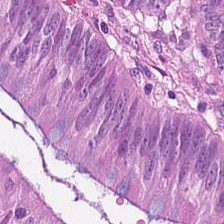224×224 px patch · FFPE tissue section · H&E — Q: What is the predominant tissue type?
A: This is tumor epithelium.
